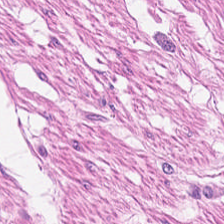Hematoxylin and eosin. Q: What is shown here?
A: The field shows smooth-muscle tissue.
